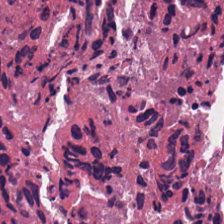H&E-stained tissue section — Predominantly cellular debris.
